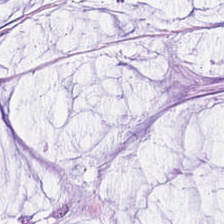Hematoxylin and eosin — Finding — extracellular mucin.
